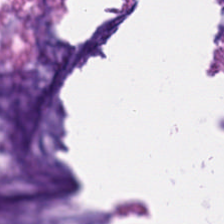Brightfield; hematoxylin and eosin — Impression → mucin.
